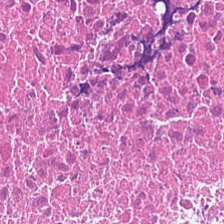FFPE · H&E-stained tissue section. Necrotic debris.
